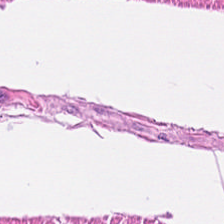H&E. FFPE tissue section.
Tissue class: smooth muscle.
